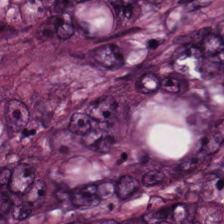Stain: hematoxylin-and-eosin stained section.
Acquisition: WSI patch.
Tissue class: adenocarcinoma.
